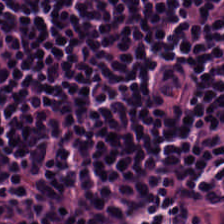Tissue: lymphocyte aggregate.
